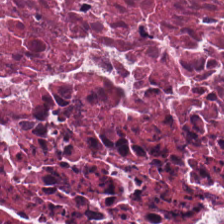H&E.
Showing necrotic debris.
